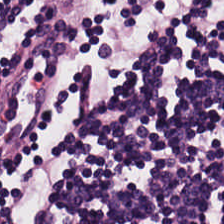H&E stain. Q: What does this patch show?
A: Lymphocytes.
